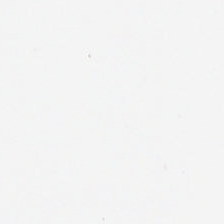Classification — empty background.
